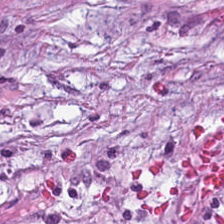FFPE. H&E-stained tissue section. Predominant tissue: extracellular mucin.
